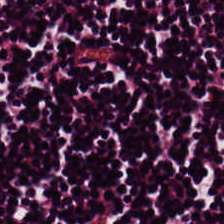224×224 px tile. Brightfield microscopy. H&E.
Tissue type: lymphocytes.
